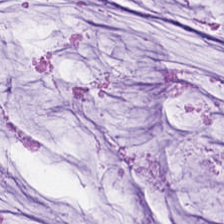H&E — Predominant tissue: mucin.
